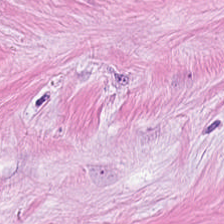0.5 microns per pixel; FFPE; hematoxylin and eosin.
{"tissue_type": "tumor-associated stroma"}
